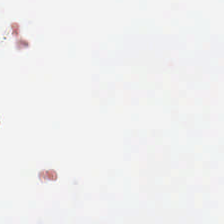Classification: background.
